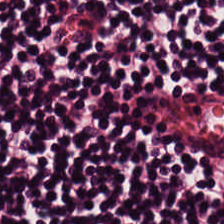Hematoxylin and eosin. Q: What is shown here?
A: This is lymphoid infiltrate.
